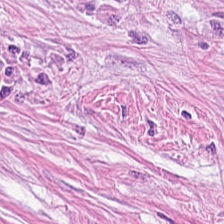H&E stain.
Q: What tissue is shown?
A: The field shows cancer-associated stroma.
